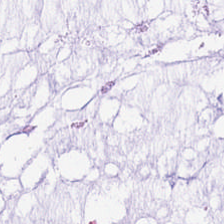Stain: H&E.
Tissue class: mucin.
